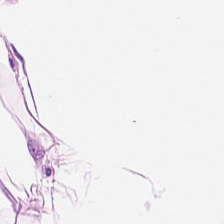Stain: H&E-stained tissue section.
Tissue: adipocytes.
